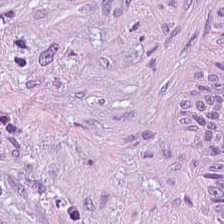Tissue: desmoplastic stroma.
